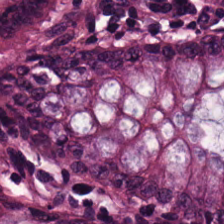Hematoxylin-and-eosin stained section. This patch shows benign colonic mucosa.
